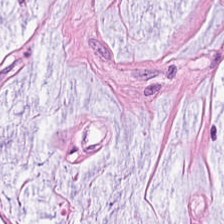Hematoxylin and eosin · FFPE — Predominantly mucus.
